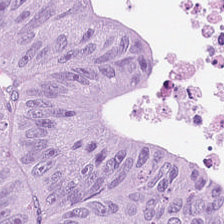224×224 px tile. H&E. FFPE tissue section.
Tissue: tumor epithelium.
